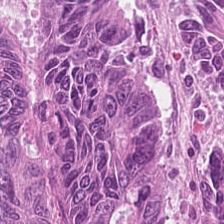Q: What does this patch show?
A: It is adenocarcinoma.
